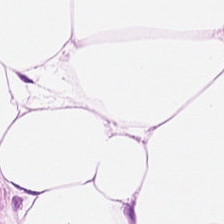Q: What is shown in this field?
A: This is fat tissue.
